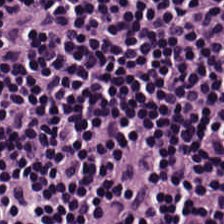Predominant tissue — lymphocytes.
